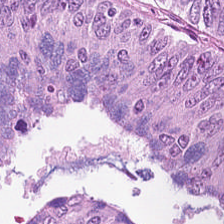Colorectal adenocarcinoma epithelium.
